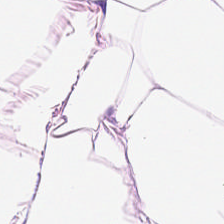Hematoxylin and eosin · 20× equivalent magnification — This field is fat tissue.
